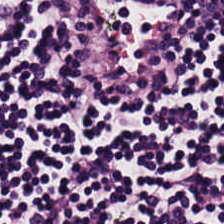Stain: hematoxylin and eosin.
Tissue: lymphoid infiltrate.
